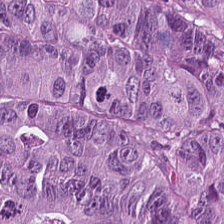Hematoxylin-and-eosin stained section. 20× equivalent magnification. 224×224 px patch.
{"tissue_type": "tumor epithelium"}
